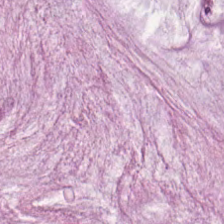Hematoxylin and eosin · 224×224 px tile · FFPE.
The tissue here is mucin.
